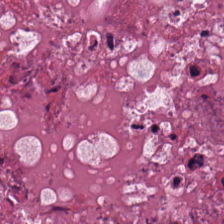Hematoxylin-and-eosin section: debris.
